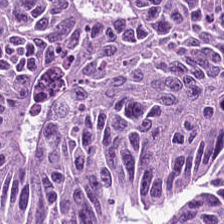H&E — {"tissue_type": "colorectal adenocarcinoma epithelium"}
